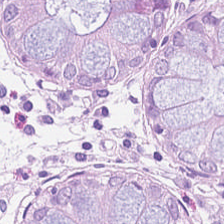H&E-stained tissue section. Tissue class: normal colonic mucosa.
